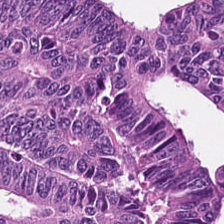H&E-stained section; the field shows colorectal adenocarcinoma.
